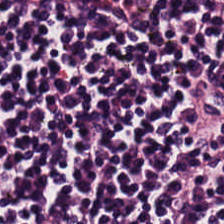Predominant tissue = lymphocyte aggregate.
